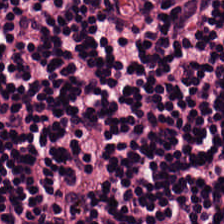Hematoxylin and eosin · 224×224 pixel tile — The tissue here is lymphocytes.
